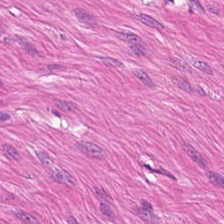Hematoxylin-and-eosin stained section — Showing smooth muscle.
